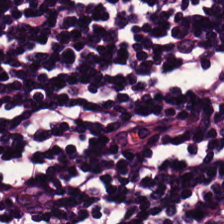H&E-stained tissue section.
Q: What does this patch show?
A: Lymphocytes.
